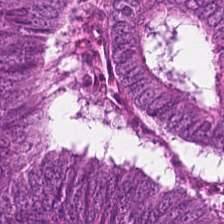Hematoxylin-and-eosin stained section. Formalin-fixed paraffin-embedded section. WSI patch.
Classification — malignant epithelium.
